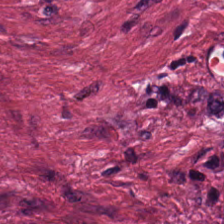FFPE; hematoxylin and eosin. Impression → cancer-associated stroma.
